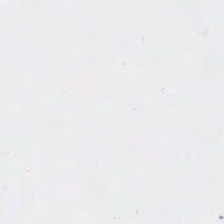H&E-stained tissue section — This field is background (no tissue).
